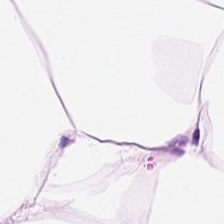0.5 microns per pixel · hematoxylin and eosin — This patch shows adipose.
